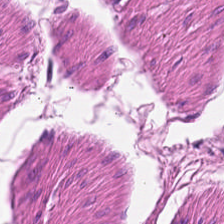H&E-stained tissue section. {"tissue_type": "muscularis"}
